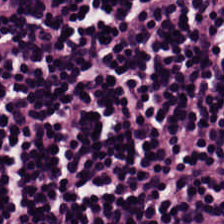Tissue class — lymphocyte aggregate.
